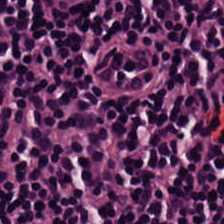0.5 µm per pixel. H&E stain. Q: Identify the tissue.
A: This is lymphocytic infiltrate.
